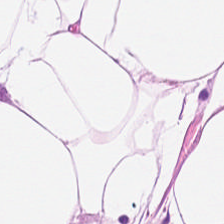Stain: H&E.
Predominant tissue: adipose tissue.
